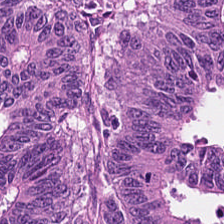Hematoxylin-and-eosin stained section.
Histology → adenocarcinoma.
